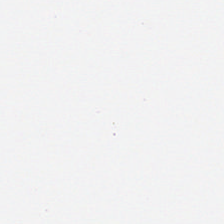H&E.
Field content — no tissue.
